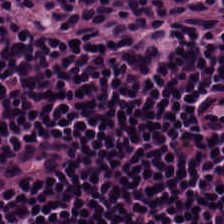Formalin-fixed paraffin-embedded section. Hematoxylin-and-eosin stained section. Whole-slide-image patch.
Q: Identify the tissue.
A: It is lymphocytic infiltrate.
